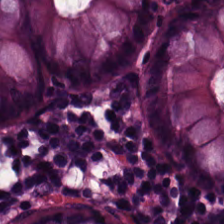H&E. Non-neoplastic colon mucosa.
